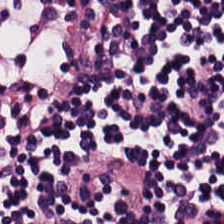H&E stain.
The tissue here is lymphoid infiltrate.
